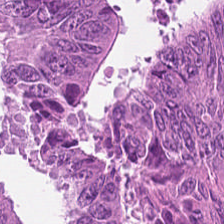224×224 pixel tile; H&E stain — This field is malignant epithelium.
